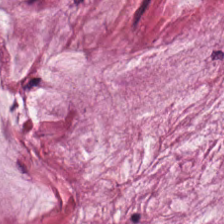H&E.
This patch shows mucin.
